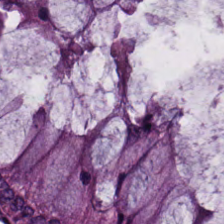224×224 px patch · hematoxylin-and-eosin stained section · 0.5 microns per pixel.
Predominantly normal colon mucosa.
